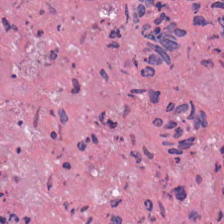Q: Classify this patch.
A: This is debris.
